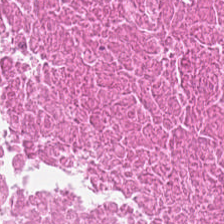Stain: H&E stain.
Predominant tissue: necrotic debris.
